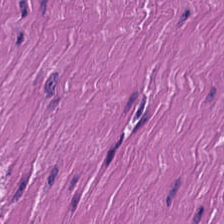Hematoxylin-and-eosin section: muscularis.
